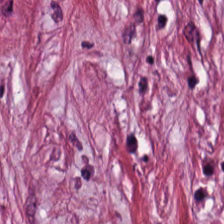Stain: H&E stain.
Acquisition: WSI patch.
Predominant tissue: tumor-associated stroma.
